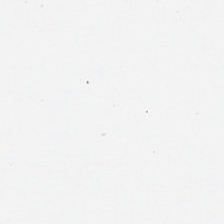H&E-stained tissue section — This field is background (no tissue).
